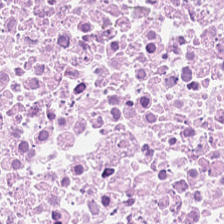Stain: hematoxylin and eosin.
Tissue type: necrotic debris.
